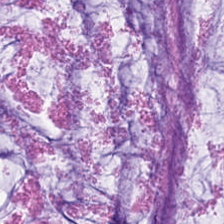Hematoxylin-and-eosin stained section.
Q: Classify this patch.
A: The field shows mucin.
